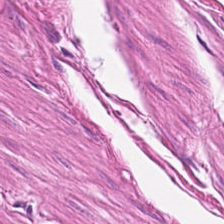The tissue here is muscularis.
